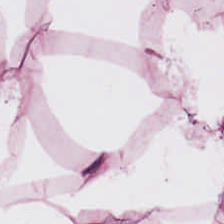0.5 µm per pixel · hematoxylin-and-eosin stained section. Q: What tissue is shown?
A: The field shows fat tissue.
